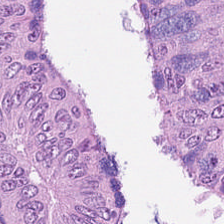Q: Identify the tissue.
A: It is malignant epithelium.
